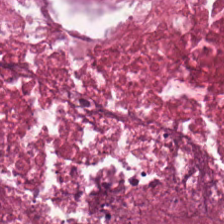Stain: hematoxylin-and-eosin stained section.
Preparation: formalin-fixed paraffin-embedded section.
Tile size: 224×224 pixel tile.
Tissue class: debris.
